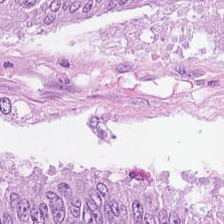Stain: H&E stain.
Tissue class: adenocarcinoma.
